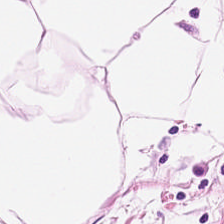H&E.
Predominantly adipose tissue.
